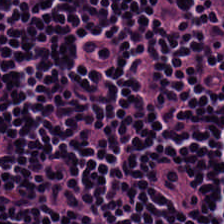H&E-stained tissue section. Lymphocyte aggregate.
